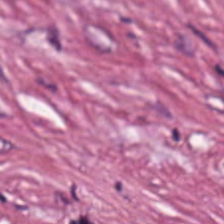Formalin-fixed paraffin-embedded section; 20× equivalent magnification; H&E stain — Showing tumor-associated stroma.
